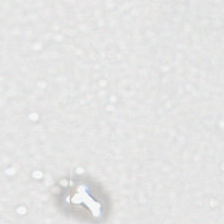Hematoxylin and eosin.
Histology → no tissue.
